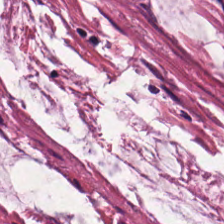Hematoxylin-and-eosin stained section. Tissue class — mucin.
